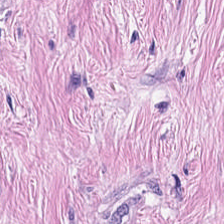224×224 px tile. H&E. Whole-slide-image patch. Desmoplastic stroma.
